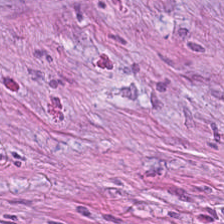Stain: H&E-stained tissue section.
Predominant tissue: tumor stroma.
